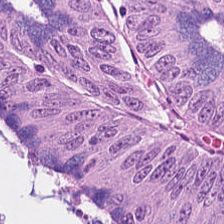H&E-stained tissue section. The tissue class is colorectal adenocarcinoma.
